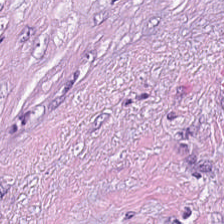Stain: hematoxylin and eosin.
Preparation: FFPE tissue section.
Tissue: desmoplastic stroma.
